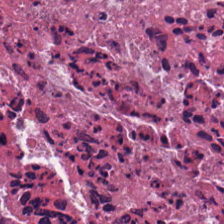0.5 µm/px · H&E-stained tissue section · whole-slide-image patch.
Histology — debris.
